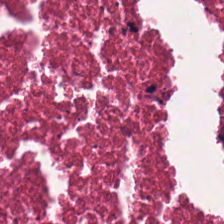Whole-slide-image patch; H&E-stained tissue section.
Q: What type of tissue is this?
A: This is necrotic debris.
